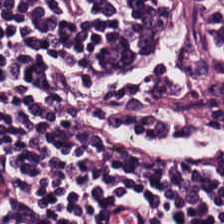Predominant tissue = lymphocytic infiltrate.
